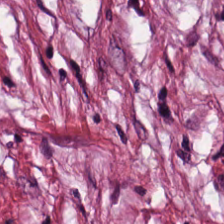Q: What is shown here?
A: This is cancer-associated stroma.
